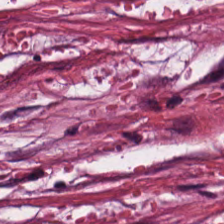H&E-stained tissue section; 0.5 microns per pixel.
This field is tumor-associated stroma.
